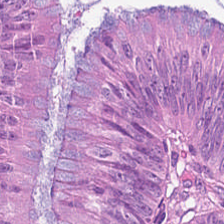Tissue type: colorectal adenocarcinoma epithelium.
